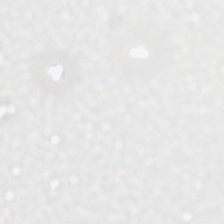H&E.
{"content": "no tissue"}
